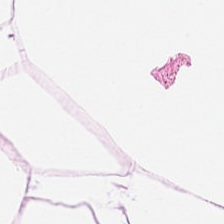Formalin-fixed paraffin-embedded section; H&E stain — Q: What type of tissue is this?
A: The field shows adipocytes.
